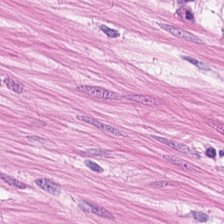Hematoxylin-and-eosin stained section. Impression → smooth muscle.
